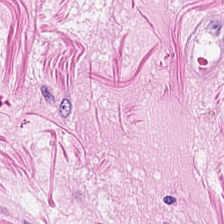Q: Identify the tissue.
A: This is muscularis.
